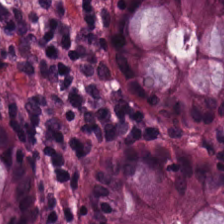Formalin-fixed paraffin-embedded section. H&E-stained tissue section. Tissue = normal colonic mucosa.
